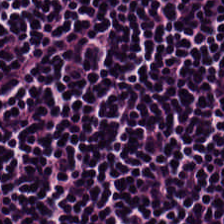Stain: H&E.
Resolution: 0.5 µm per pixel.
Preparation: FFPE tissue section.
Tissue class: lymphoid infiltrate.
